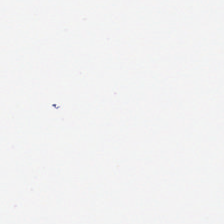H&E stain.
Impression — no tissue.
